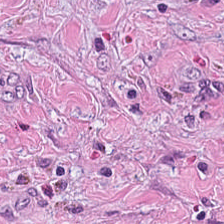Hematoxylin and eosin. Formalin-fixed paraffin-embedded section — The tissue here is tumor stroma.
